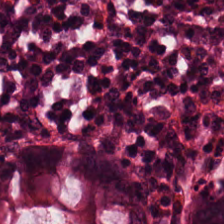20× equivalent magnification. Hematoxylin-and-eosin stained section — {"tissue_type": "normal colon mucosa"}
